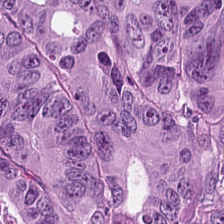H&E-stained tissue section. This field is colorectal adenocarcinoma epithelium.
